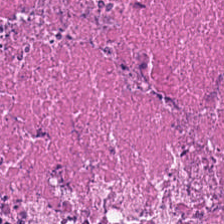Whole-slide-image patch; 0.5 µm/px; H&E-stained tissue section. This field is necrotic debris.
